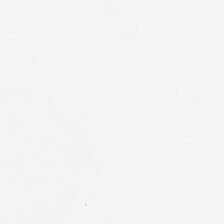H&E-stained tissue section; FFPE tissue section; 224×224 pixel tile. The field content is empty background.
